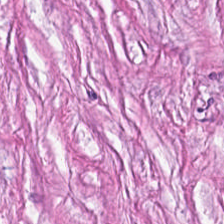Whole-slide-image patch; H&E-stained tissue section.
The predominant tissue is cancer-associated stroma.
